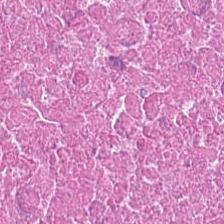Formalin-fixed paraffin-embedded section · H&E.
Q: What is shown here?
A: Debris.
